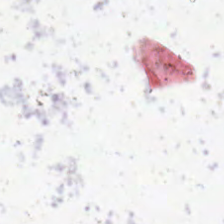Stain: hematoxylin-and-eosin stained section.
Classification: empty background.
